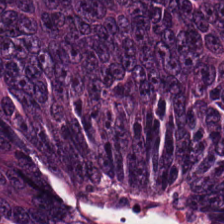H&E-stained tissue section; whole-slide-image patch — This field is colorectal adenocarcinoma.
